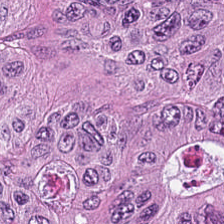H&E — Classification: colorectal adenocarcinoma.
